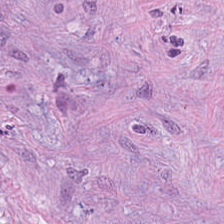0.5 µm per pixel; hematoxylin-and-eosin stained section; 224×224 pixel tile — The predominant tissue is tumor stroma.
